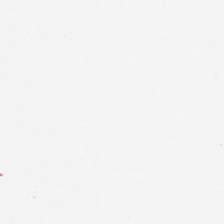H&E stain. Q: What is shown here?
A: It is background (no tissue).
